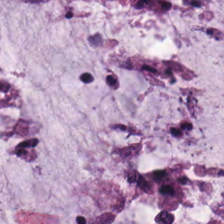Q: Identify the tissue.
A: Extracellular mucin.
